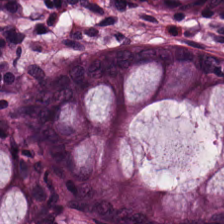0.5 µm/px · H&E stain — Q: What tissue type is shown here?
A: It is normal colonic mucosa.
